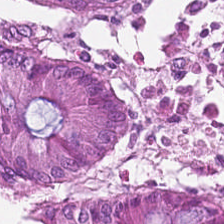H&E-stained tissue section — Q: What is shown here?
A: This is normal colon mucosa.
